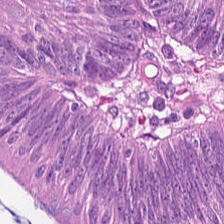Hematoxylin and eosin.
Finding — adenocarcinoma.
